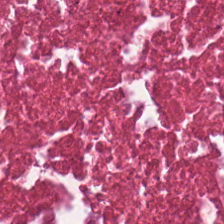Stain: H&E-stained tissue section.
Tissue class: necrotic debris.
